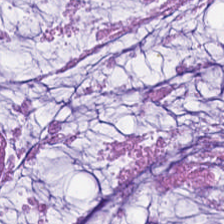The predominant tissue is mucus.
